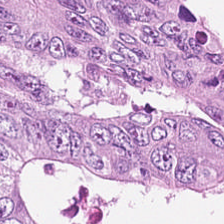Brightfield; hematoxylin and eosin.
Q: What type of tissue is this?
A: The field shows tumor epithelium.
